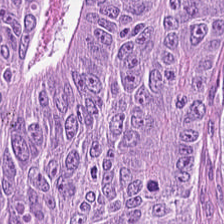H&E-stained tissue section. Q: What does this patch show?
A: It is adenocarcinoma.
